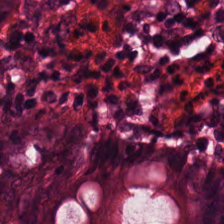H&E stain.
The predominant tissue is normal colon mucosa.
